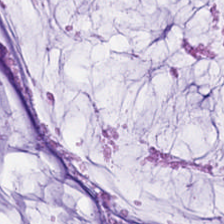Stain: H&E-stained tissue section.
Preparation: formalin-fixed paraffin-embedded section.
Classification: mucus.
